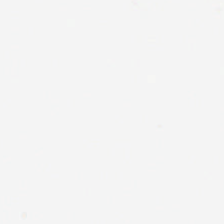Q: What is shown here?
A: This is background.
